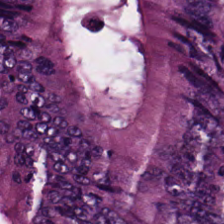{"tissue_type": "malignant epithelium"}
